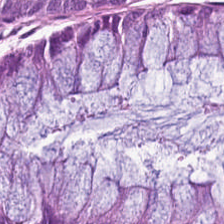H&E-stained tissue section showing normal colon mucosa.
